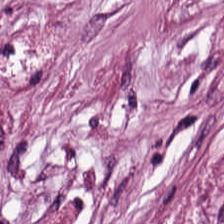Whole-slide-image patch; H&E stain; 0.5 microns per pixel.
Q: What does this patch show?
A: This is tumor stroma.
